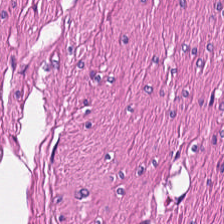H&E-stained tissue section.
Predominantly smooth muscle.
